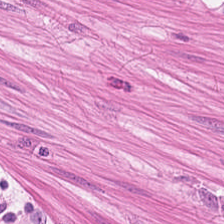H&E patch showing muscularis.
